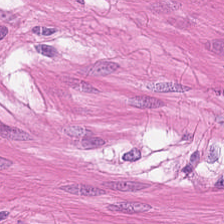Hematoxylin and eosin.
Q: What type of tissue is this?
A: Smooth-muscle tissue.
